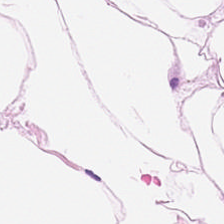Adipose.
